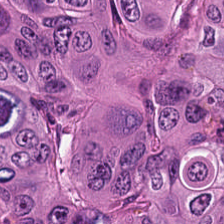{"tissue_type": "colorectal adenocarcinoma epithelium"}
